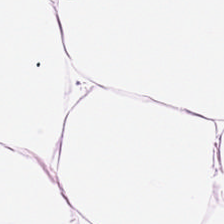Stain: H&E.
Tissue: adipose.
